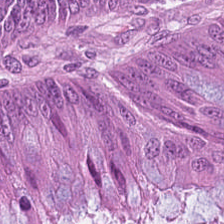Brightfield microscopy; hematoxylin and eosin; 224×224 px patch. This patch shows colorectal adenocarcinoma.
